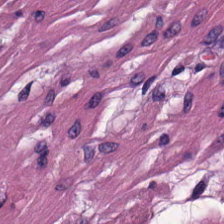224×224 pixel tile; H&E-stained tissue section; 0.5 microns per pixel — Histology — smooth muscle.
